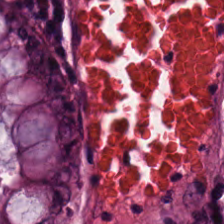Stain: hematoxylin and eosin.
Tissue: normal colon mucosa.
